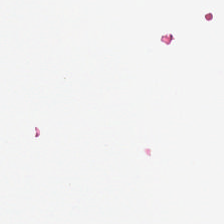Hematoxylin and eosin · FFPE — Content — empty background.
